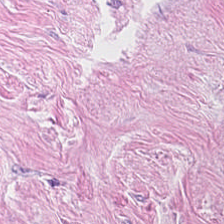Whole-slide-image patch; hematoxylin and eosin.
Predominant tissue: tumor-associated stroma.
